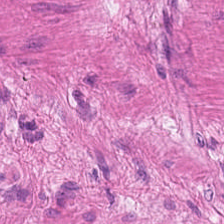WSI patch; hematoxylin-and-eosin stained section. This patch shows muscularis.
